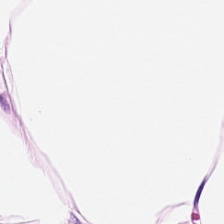Stain: hematoxylin and eosin.
Classification: adipose.
